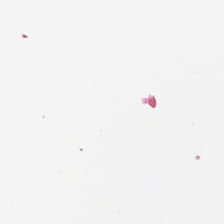Hematoxylin and eosin.
This patch shows background (no tissue).
